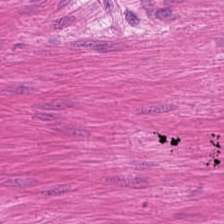H&E; 0.5 µm/px; brightfield. Tissue class — smooth-muscle tissue.
